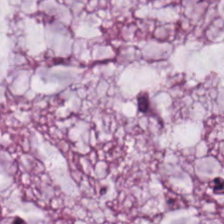H&E stain. Q: Classify this patch.
A: The field shows extracellular mucin.
